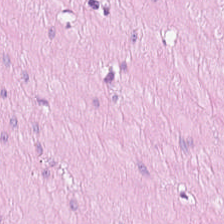The tissue is smooth muscle.
